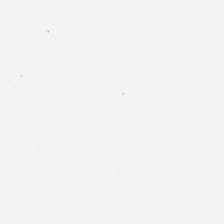Hematoxylin-and-eosin stained section; 224×224 px tile — Histology — background.
